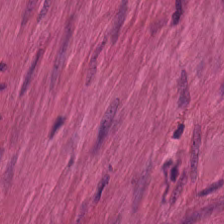H&E-stained tissue section showing muscularis.
